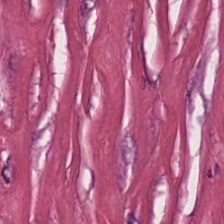224×224 px tile · H&E — {"tissue_type": "desmoplastic stroma"}
